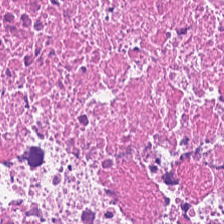0.5 microns per pixel · FFPE · hematoxylin and eosin.
Finding — necrotic debris.
